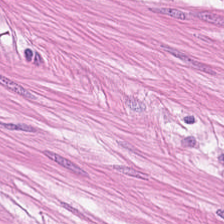Q: What type of tissue is this?
A: Muscularis.
